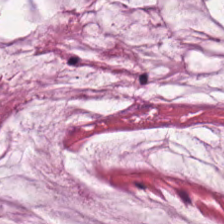Hematoxylin and eosin. 224×224 px patch. WSI patch — {"tissue_type": "mucin"}
